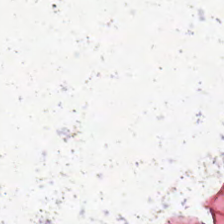Hematoxylin-and-eosin stained section. This field is background (no tissue).
